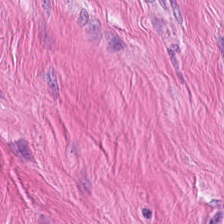0.5 µm/px; H&E. This field is smooth-muscle tissue.
